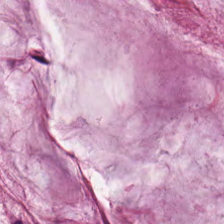0.5 µm per pixel · brightfield microscopy · H&E. The predominant tissue is mucus.
